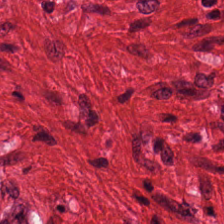H&E-stained tissue section. Brightfield microscopy. Histology → muscularis.
